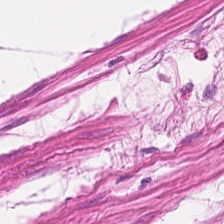H&E stain. Histology — smooth muscle.
